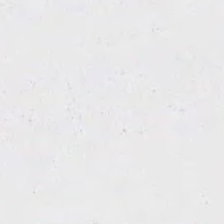Stain: H&E-stained tissue section.
Acquisition: whole-slide-image patch.
Resolution: 20× equivalent magnification.
Classification: background.
